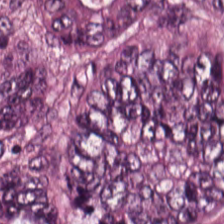The tissue is tumor epithelium.
